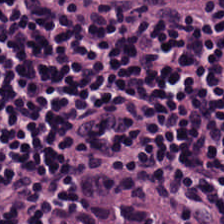Formalin-fixed paraffin-embedded section. 224×224 px patch. H&E stain.
Q: What is the predominant tissue type?
A: The field shows lymphocytes.
